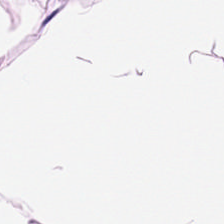H&E stain.
Tissue type = adipose.
